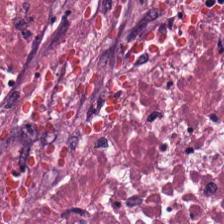224×224 px patch. Hematoxylin and eosin. FFPE tissue section — Predominantly necrotic debris.
